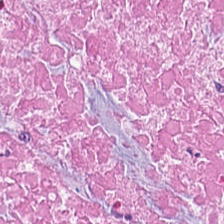H&E stain. Brightfield microscopy. 224×224 px tile — Q: What is shown here?
A: It is debris.
